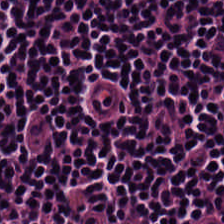H&E.
Classification — lymphocyte aggregate.
